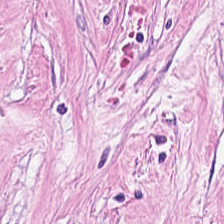224×224 px tile · H&E stain. Showing tumor stroma.
